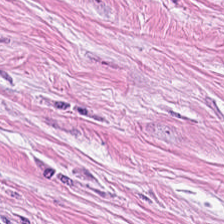Hematoxylin-and-eosin section: cancer-associated stroma.
